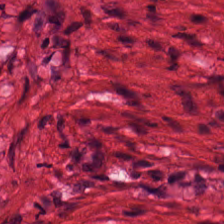Stain: H&E stain.
Acquisition: whole-slide-image patch.
Resolution: 0.5 µm/px.
Classification: smooth-muscle tissue.
